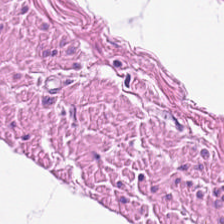0.5 µm/px. H&E-stained tissue section. Formalin-fixed paraffin-embedded section. This patch shows smooth muscle.
